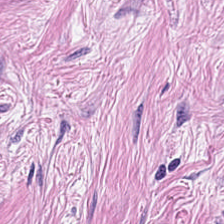Tissue type: tumor stroma.
